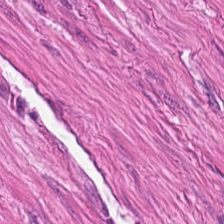Stain: hematoxylin and eosin.
Preparation: formalin-fixed paraffin-embedded section.
Resolution: 20× equivalent magnification.
Predominant tissue: muscularis.
